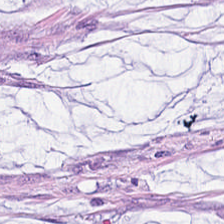Predominantly mucin.
